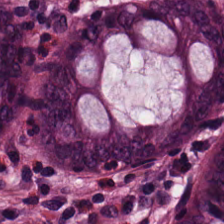Whole-slide-image patch · H&E-stained tissue section — This patch shows normal colonic mucosa.
